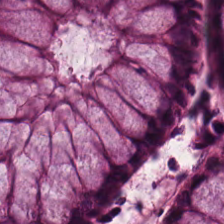Brightfield microscopy. Hematoxylin-and-eosin stained section — Finding — benign colonic mucosa.
